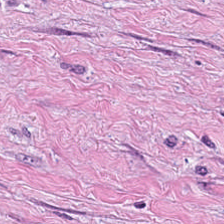H&E stain · brightfield microscopy · FFPE tissue section.
Q: What tissue is shown?
A: The field shows cancer-associated stroma.
